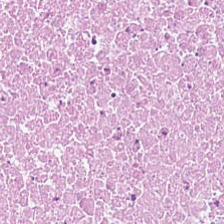H&E. Showing debris.
